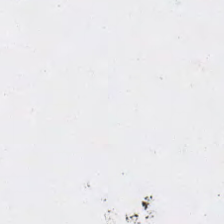H&E — Field content — background (no tissue).
